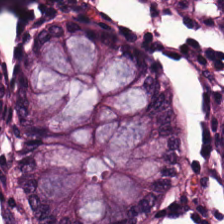Whole-slide-image patch. Hematoxylin-and-eosin stained section. Tissue — normal colonic mucosa.
